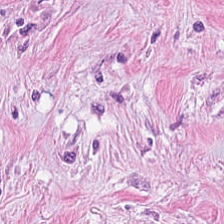Stain: H&E.
Predominant tissue: tumor-associated stroma.
